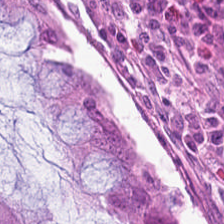Hematoxylin-and-eosin stained section.
Impression → normal colonic mucosa.
